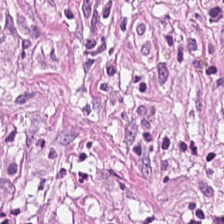H&E stain. Histology — tumor-associated stroma.
